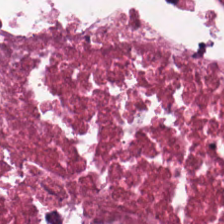0.5 µm/px. WSI patch. Hematoxylin-and-eosin stained section. Q: Classify this patch.
A: This is necrotic debris.
